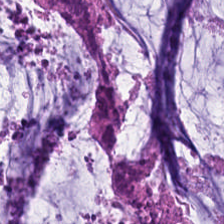Hematoxylin-and-eosin stained section.
Histology → extracellular mucin.
